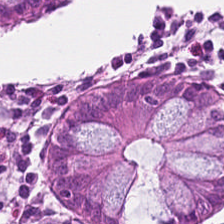Hematoxylin-and-eosin stained section — This field is normal colonic mucosa.
